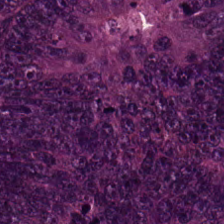Hematoxylin-and-eosin section: malignant epithelium.
